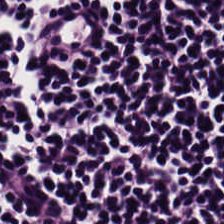H&E stain. Tissue: lymphocyte aggregate.
